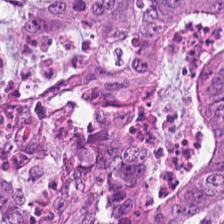Stain: H&E-stained tissue section.
Acquisition: brightfield microscopy.
Tissue class: malignant epithelium.
